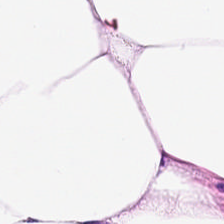H&E-stained section; the field shows adipose tissue.
